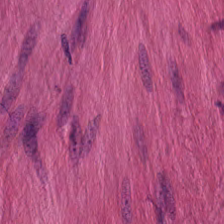Brightfield microscopy. H&E-stained tissue section. 224×224 px tile — Histology — muscularis.
